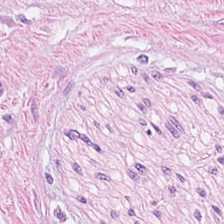H&E.
Cancer-associated stroma.
